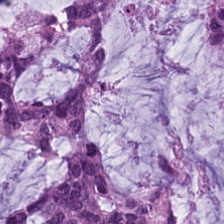0.5 µm/px; H&E. Predominantly mucin.
